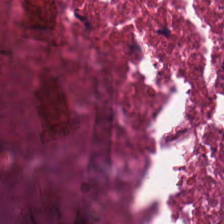WSI patch; H&E. Predominant tissue: necrotic debris.
